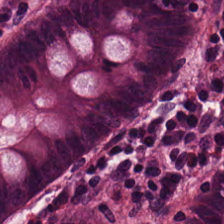H&E. This patch shows benign colonic mucosa.
